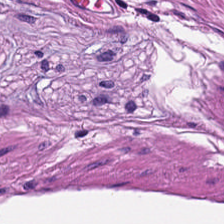H&E-stained tissue section — Smooth muscle.
